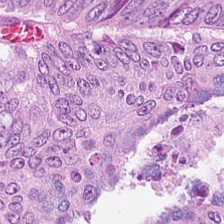Classification: colorectal adenocarcinoma epithelium.
